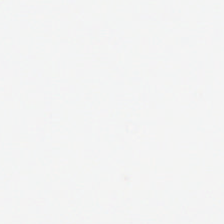Classification — background (no tissue).
